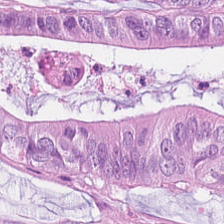H&E.
Tissue — malignant epithelium.
